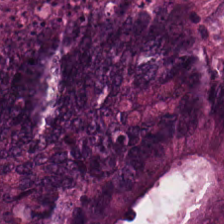H&E stain — The tissue is malignant epithelium.
